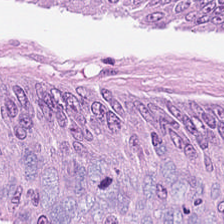H&E — colorectal adenocarcinoma.
